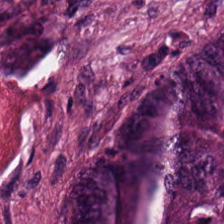Stain: hematoxylin-and-eosin stained section.
Resolution: 0.5 µm/px.
Predominant tissue: colorectal adenocarcinoma.
